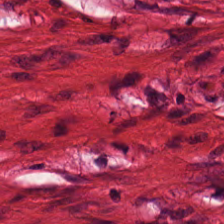Histology — smooth muscle.
